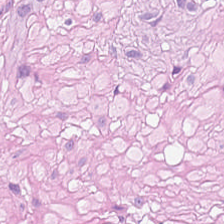Stain: hematoxylin-and-eosin stained section.
Tissue: smooth-muscle tissue.
